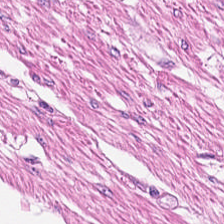H&E.
Predominantly smooth-muscle tissue.
